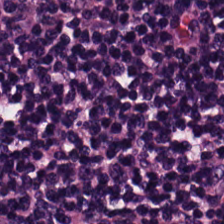H&E.
{"tissue_type": "lymphoid infiltrate"}
